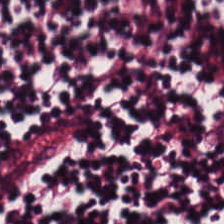Whole-slide-image patch · H&E stain.
The tissue here is lymphocytes.
